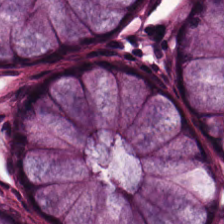20× equivalent magnification · H&E. Tissue = normal colonic mucosa.
